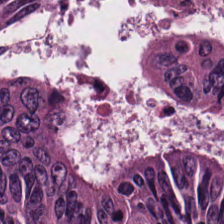224×224 px patch. Hematoxylin and eosin. Brightfield. The predominant tissue is adenocarcinoma.
